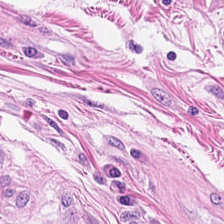Stain: hematoxylin and eosin.
Preparation: formalin-fixed paraffin-embedded section.
Tissue type: muscularis.
